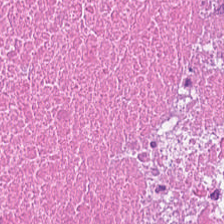Formalin-fixed paraffin-embedded section; hematoxylin and eosin.
Predominantly cellular debris.
